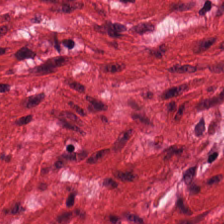H&E stain.
Smooth-muscle tissue.
